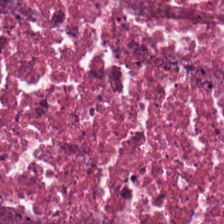Tissue — necrotic debris.
